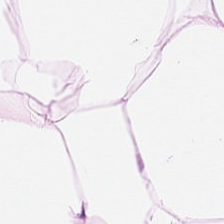H&E patch showing adipose tissue.
